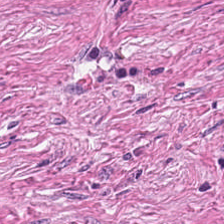Hematoxylin-and-eosin stained section. Q: What is the predominant tissue type?
A: It is tumor-associated stroma.
